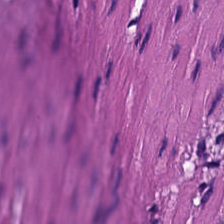Finding → smooth muscle.
